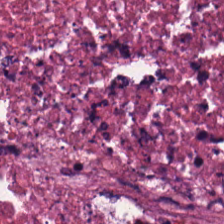Tissue class = debris.
